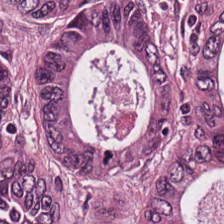Hematoxylin-and-eosin stained section; 224×224 pixel tile — This patch shows tumor epithelium.
